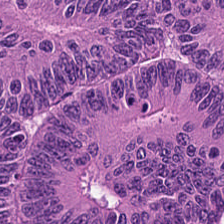Hematoxylin-and-eosin stained section. Tissue — adenocarcinoma.
